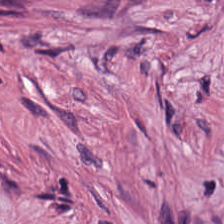0.5 µm/px · hematoxylin and eosin. This field is tumor stroma.
